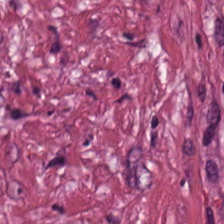H&E. Impression — tumor stroma.
